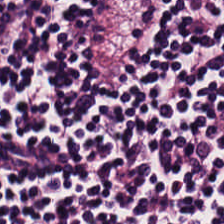H&E patch showing lymphocyte aggregate.
